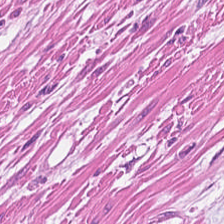Formalin-fixed paraffin-embedded section. Hematoxylin and eosin. Predominant tissue: smooth-muscle tissue.
